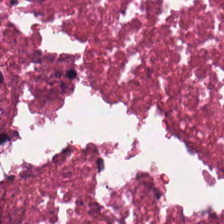Stain: hematoxylin and eosin.
Tile size: 224×224 px tile.
Preparation: FFPE tissue section.
Classification: debris.
